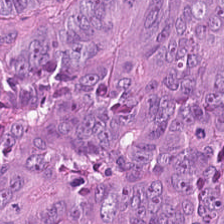Hematoxylin and eosin · FFPE — The predominant tissue is colorectal adenocarcinoma.
